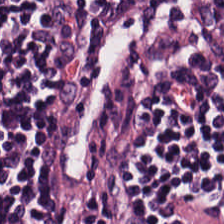Hematoxylin and eosin — Lymphocyte aggregate.
